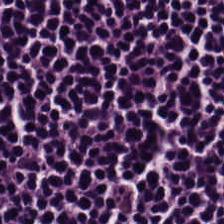Q: Identify the tissue.
A: The field shows lymphocytes.
